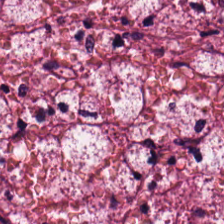Predominantly cancer-associated stroma.
